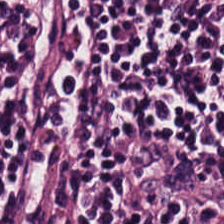H&E stain. 0.5 µm/px. FFPE — Q: What is shown here?
A: It is lymphocytes.
